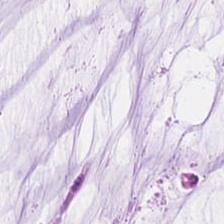H&E-stained tissue section.
Histology → mucin.
